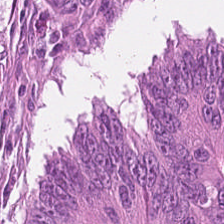Brightfield microscopy. 224×224 px patch. H&E — Impression → colorectal adenocarcinoma.
